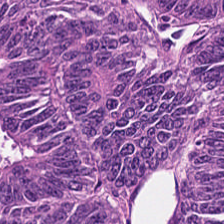Stain: H&E stain.
Preparation: FFPE.
Classification: adenocarcinoma.
